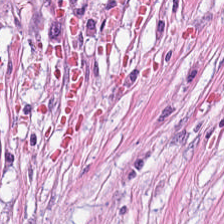0.5 µm/px · H&E-stained tissue section. The predominant tissue is tumor-associated stroma.
